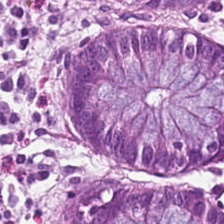H&E. Q: What type of tissue is this?
A: It is non-neoplastic colon mucosa.
